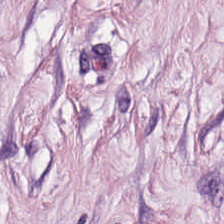H&E stain.
Showing tumor stroma.
